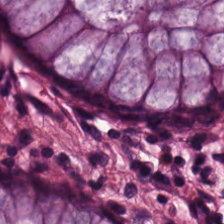H&E-stained tissue section — The classification is benign colonic mucosa.
